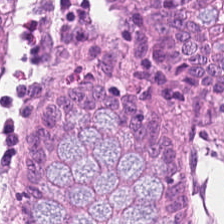The tissue here is non-neoplastic colon mucosa.
